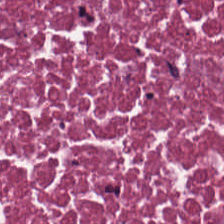Q: What is shown here?
A: It is debris.
